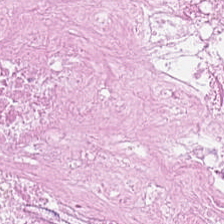H&E stain; brightfield. The predominant tissue is debris.
